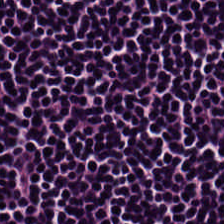Brightfield microscopy · H&E-stained tissue section · 224×224 px tile. Q: Identify the tissue.
A: It is lymphocyte aggregate.
